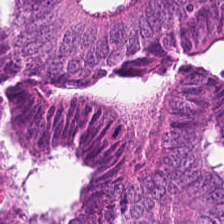0.5 microns per pixel. H&E-stained tissue section. Predominant tissue = tumor epithelium.
